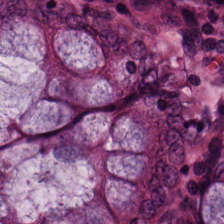Hematoxylin and eosin. Showing benign colonic mucosa.
